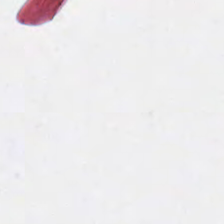H&E.
Background — no tissue in this field.
